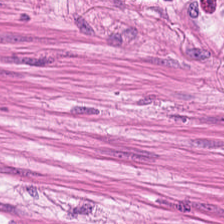Impression → smooth-muscle tissue.
